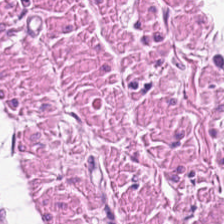224×224 px tile. H&E-stained tissue section. The tissue here is muscularis.
